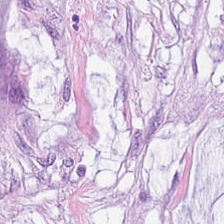H&E. Formalin-fixed paraffin-embedded section.
The predominant tissue is extracellular mucin.
